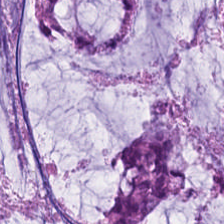Q: What is shown here?
A: Mucus.
